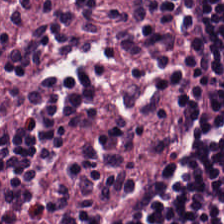This patch shows lymphocytes.
